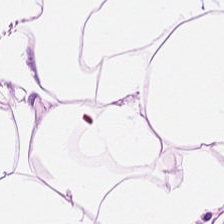0.5 microns per pixel. Hematoxylin-and-eosin stained section. 224×224 px tile.
Predominant tissue: fat tissue.
